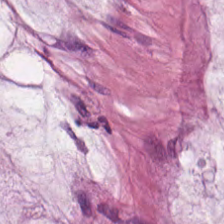Q: What does this patch show?
A: The field shows extracellular mucin.
